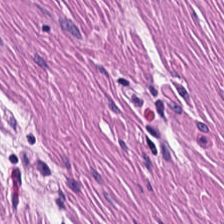H&E stain. The predominant tissue is muscularis.
